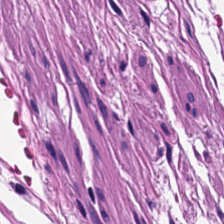H&E — The tissue here is muscularis.
